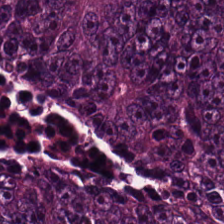Stain: hematoxylin and eosin.
Tissue class: colorectal adenocarcinoma epithelium.
